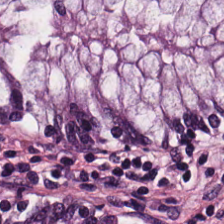H&E-stained tissue section · 224×224 px tile · 0.5 µm/px.
Impression → benign colonic mucosa.
